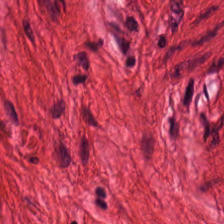Hematoxylin-and-eosin stained section — This patch shows muscularis.
